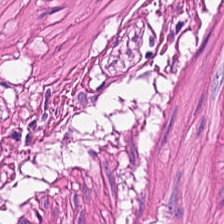Smooth-muscle tissue.
